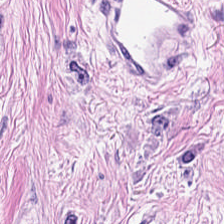Q: What is shown here?
A: The field shows tumor-associated stroma.
